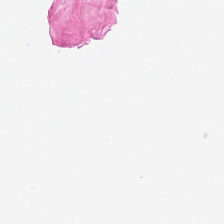H&E stain · brightfield microscopy — No tissue.
